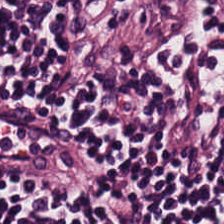H&E stain.
Finding — lymphocyte aggregate.
